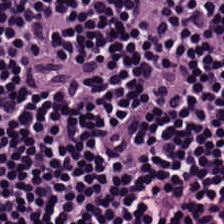H&E-stained section; the field shows lymphocytic infiltrate.
